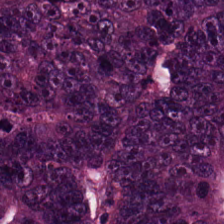Hematoxylin-and-eosin stained section.
Q: What tissue type is shown here?
A: Tumor epithelium.
